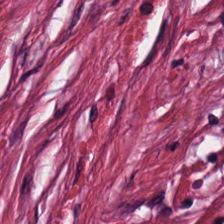Histology → cancer-associated stroma.
